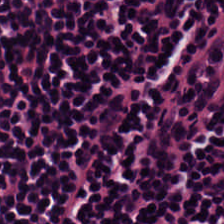This patch shows lymphocytic infiltrate.
